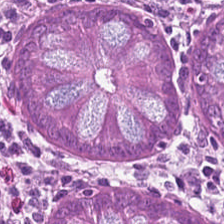H&E-stained tissue section — Finding — normal colonic mucosa.
